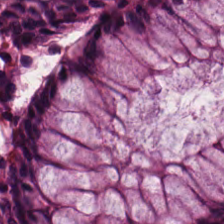224×224 px patch. 20× equivalent magnification. H&E stain.
Tissue: benign colonic mucosa.
